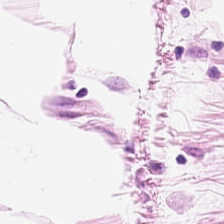H&E. Tissue type — fat tissue.
